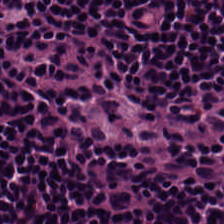Predominantly lymphocytic infiltrate.
